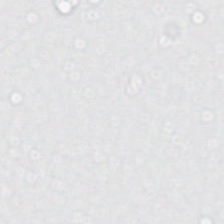H&E · formalin-fixed paraffin-embedded section — Empty field — background.
